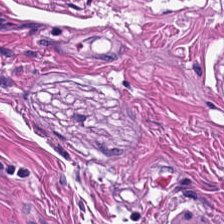Hematoxylin and eosin — Q: What is the predominant tissue type?
A: Smooth-muscle tissue.
